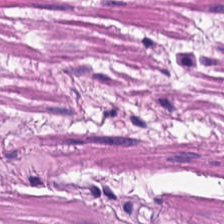The tissue class is muscularis.
